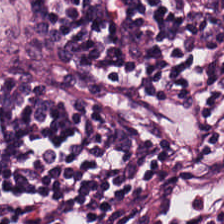H&E-stained tissue section. 0.5 µm per pixel — Predominantly lymphocytic infiltrate.
